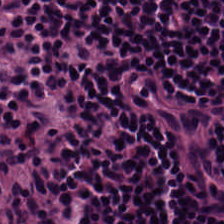Hematoxylin and eosin.
Showing lymphoid infiltrate.
